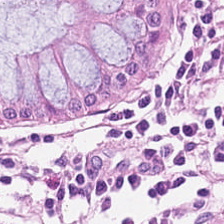H&E.
The predominant tissue is normal colonic mucosa.
